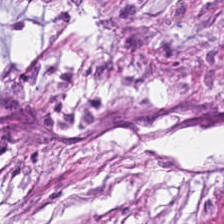Stain: hematoxylin and eosin.
Tissue: tumor stroma.
